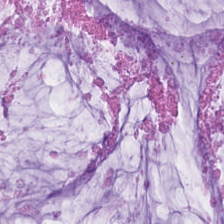0.5 microns per pixel; H&E stain; 224×224 pixel tile.
This field is mucin.
